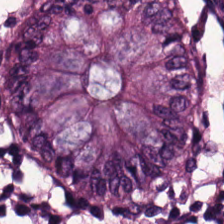Hematoxylin and eosin · whole-slide-image patch.
Tissue — non-neoplastic colon mucosa.
